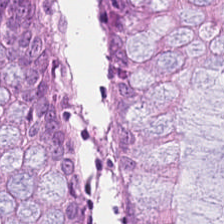Hematoxylin-and-eosin section: benign colonic mucosa.
